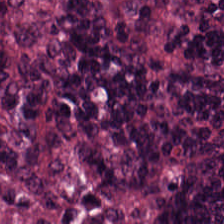H&E stain. Tissue = lymphocytic infiltrate.
